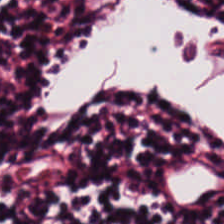20× equivalent magnification; FFPE tissue section; H&E-stained tissue section.
Tissue class — lymphoid infiltrate.
